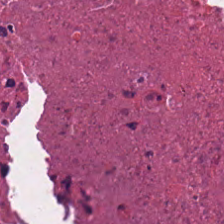H&E-stained section; the field shows necrotic debris.
